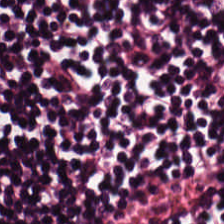Brightfield. H&E.
The tissue here is lymphocyte aggregate.
